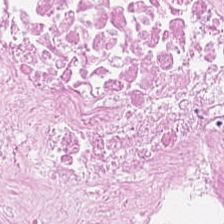H&E.
Impression → necrotic debris.
